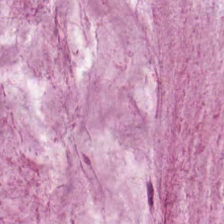WSI patch. 224×224 px tile. H&E — Tissue class = mucus.
